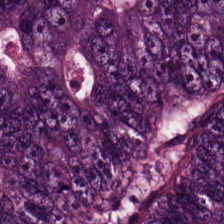Tissue class: malignant epithelium.
